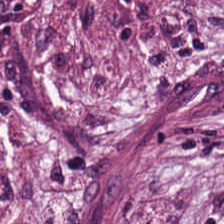Whole-slide-image patch · 0.5 µm/px · H&E-stained tissue section. Predominantly tumor-associated stroma.
